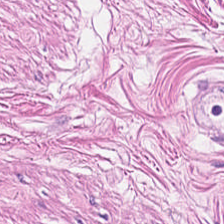This field is muscularis.
